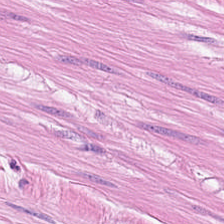Hematoxylin-and-eosin stained section · 20× equivalent magnification · 224×224 px tile — Showing smooth muscle.
